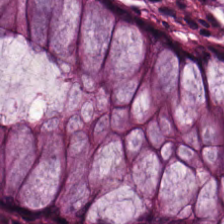H&E-stained tissue section. {"tissue_type": "non-neoplastic colon mucosa"}
